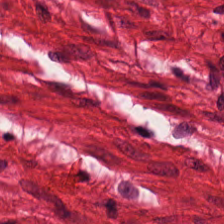Hematoxylin and eosin; brightfield. Q: Identify the tissue.
A: This is smooth-muscle tissue.
